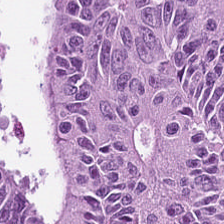Hematoxylin-and-eosin stained section · whole-slide-image patch · 224×224 px tile — Tissue type = malignant epithelium.
